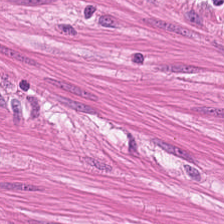Stain: hematoxylin-and-eosin stained section.
Acquisition: WSI patch.
Classification: muscularis.
